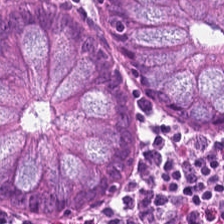H&E stain.
Finding — benign colonic mucosa.
